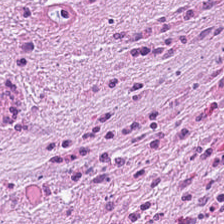Hematoxylin-and-eosin stained section. This patch shows tumor-associated stroma.
